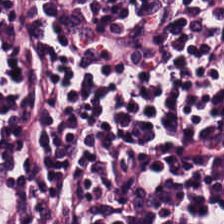Hematoxylin-and-eosin section: lymphocytes.
